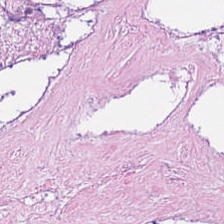Formalin-fixed paraffin-embedded section · H&E — Showing debris.
